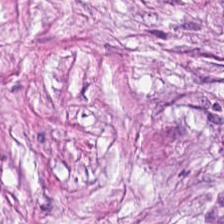Finding → cancer-associated stroma.
